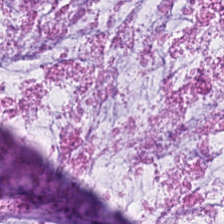Hematoxylin and eosin. Tissue class — mucus.
